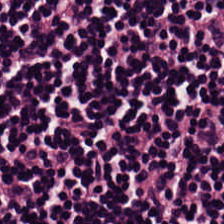Stain: hematoxylin-and-eosin stained section.
Preparation: FFPE tissue section.
Predominant tissue: lymphoid infiltrate.
